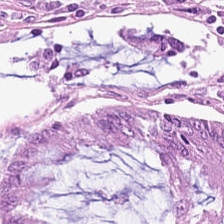H&E stain.
The predominant tissue is normal colon mucosa.
